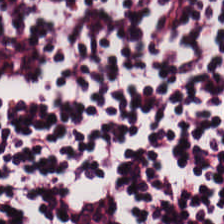H&E-stained tissue section — Impression — lymphocytes.
